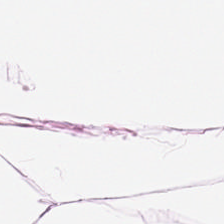FFPE · 224×224 px patch · hematoxylin and eosin. This field is adipose.
